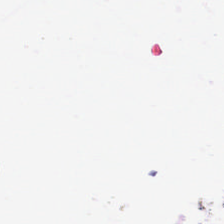20× equivalent magnification · H&E-stained tissue section · 224×224 px patch — The field content is background.
